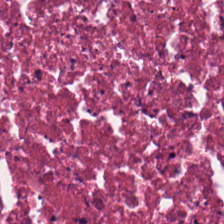H&E.
This patch shows necrotic debris.
